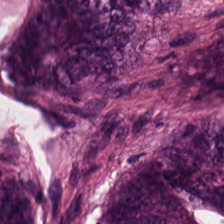This patch shows tumor epithelium.
